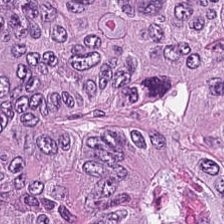Stain: H&E stain.
Classification: malignant epithelium.
